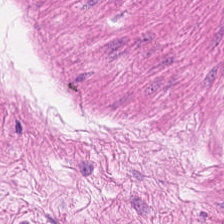0.5 microns per pixel; H&E stain — {"tissue_type": "smooth muscle"}
